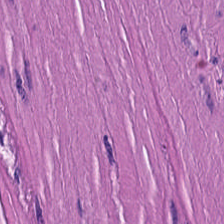Stain: hematoxylin and eosin.
Classification: muscularis.
